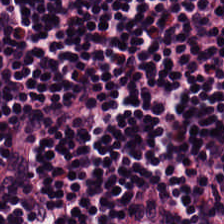H&E — Predominantly lymphocytic infiltrate.
